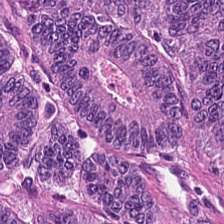H&E-stained tissue section. 0.5 microns per pixel. Whole-slide-image patch — Predominant tissue = adenocarcinoma.
